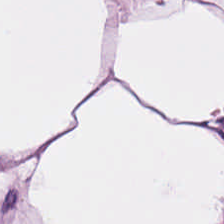Stain: hematoxylin-and-eosin stained section.
Tissue type: adipose tissue.
